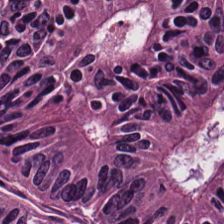224×224 pixel tile · hematoxylin and eosin — This field is malignant epithelium.
